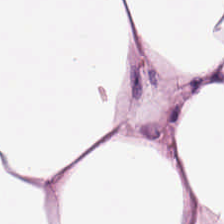The tissue type is adipose.
